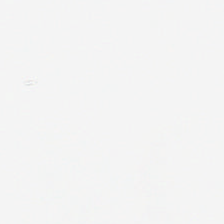Q: What is shown in this field?
A: It is empty background.
